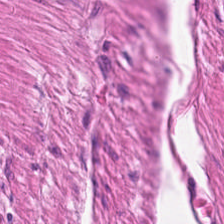Formalin-fixed paraffin-embedded section; hematoxylin and eosin — The tissue is smooth muscle.
